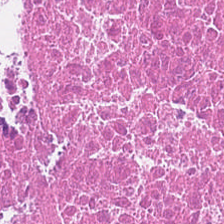Necrotic debris.
